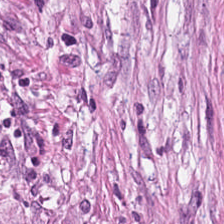H&E stain; 0.5 µm per pixel — The tissue type is tumor stroma.
